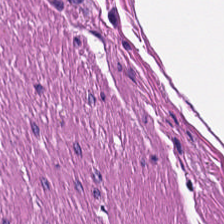H&E-stained tissue section; 0.5 microns per pixel; 224×224 pixel tile — Q: Classify this patch.
A: It is smooth muscle.
